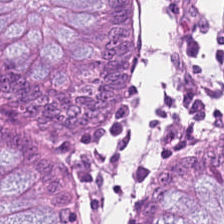H&E.
The tissue here is normal colonic mucosa.
